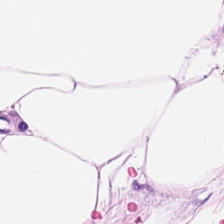Hematoxylin-and-eosin stained section.
Adipocytes.
